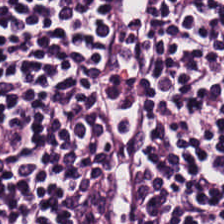H&E-stained tissue section. Histology → lymphocytic infiltrate.
